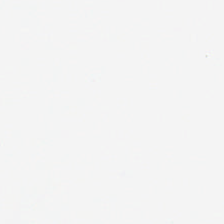Content — no tissue.
